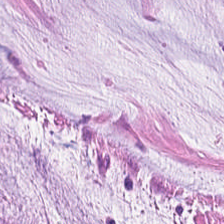Hematoxylin-and-eosin stained section. Mucus.
